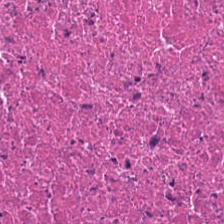H&E-stained tissue section; whole-slide-image patch.
The tissue here is necrotic debris.
